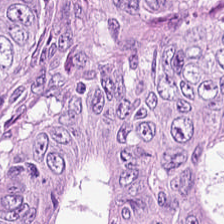0.5 microns per pixel · 224×224 px patch · hematoxylin and eosin.
Predominant tissue — colorectal adenocarcinoma epithelium.
